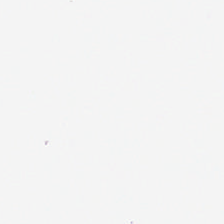Hematoxylin-and-eosin stained section · 224×224 px patch — Q: What is shown in this field?
A: The field shows no tissue.
